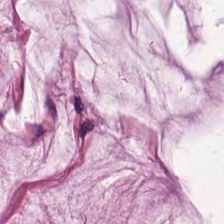H&E.
Tissue class — extracellular mucin.
